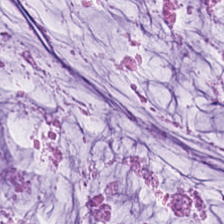H&E. {"tissue_type": "mucin"}
